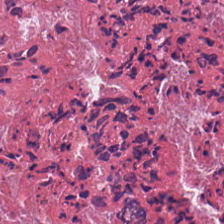H&E stain. Q: What does this patch show?
A: This is cellular debris.
